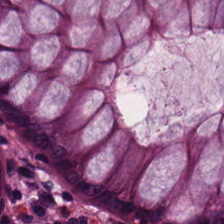H&E. Q: What is shown in this field?
A: The field shows normal colonic mucosa.
